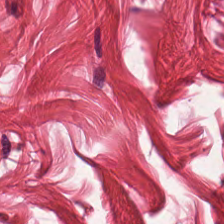Formalin-fixed paraffin-embedded section; hematoxylin and eosin — Histology — smooth-muscle tissue.
